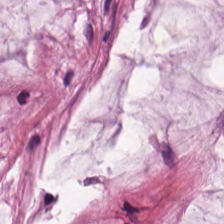224×224 px tile · H&E stain.
This field is mucin.
